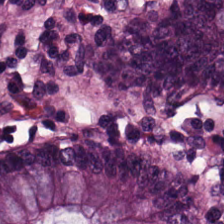H&E. Brightfield — Q: What is shown here?
A: This is non-neoplastic colon mucosa.
